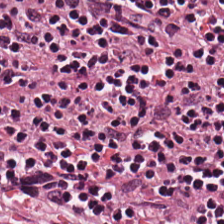H&E stain · FFPE tissue section — Q: Identify the tissue.
A: The field shows lymphocytes.
